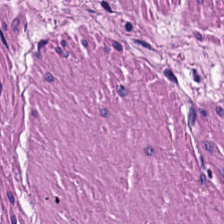Brightfield microscopy · H&E stain.
The predominant tissue is smooth-muscle tissue.
